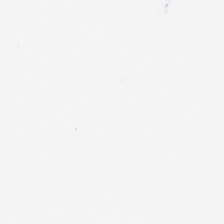FFPE. H&E. 20× equivalent magnification. Q: What is shown here?
A: The field shows no tissue.
